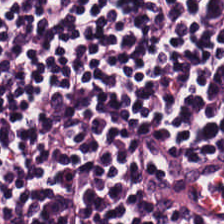H&E stain. FFPE.
{"tissue_type": "lymphocytes"}
